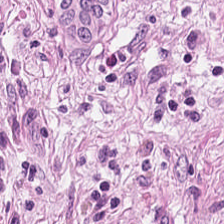H&E; 0.5 microns per pixel. This patch shows cancer-associated stroma.
